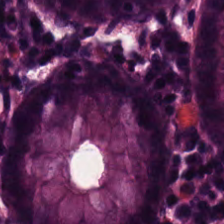Stain: hematoxylin-and-eosin stained section.
Preparation: formalin-fixed paraffin-embedded section.
Tissue type: benign colonic mucosa.
